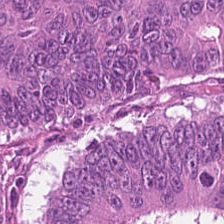H&E. Tissue type: colorectal adenocarcinoma epithelium.
